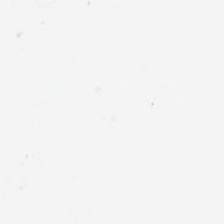FFPE · H&E stain. {"content": "background"}
